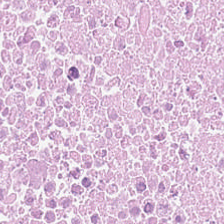Hematoxylin and eosin. 0.5 µm per pixel. Q: What tissue is shown?
A: The field shows necrotic debris.
